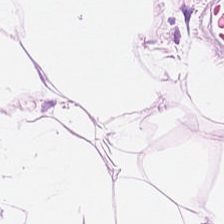Hematoxylin and eosin — This patch shows fat tissue.
